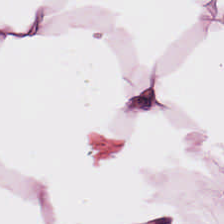Formalin-fixed paraffin-embedded section · H&E-stained tissue section. Classification: fat tissue.
